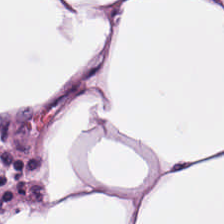Stain: hematoxylin-and-eosin stained section.
Resolution: 0.5 µm/px.
Predominant tissue: adipocytes.
